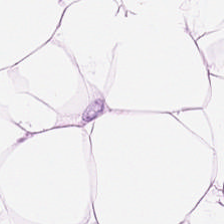Stain: H&E.
Acquisition: WSI patch.
Resolution: 0.5 microns per pixel.
Tissue: adipose tissue.
